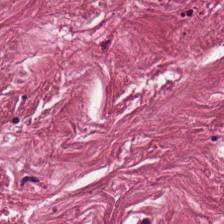H&E — Classification — desmoplastic stroma.
